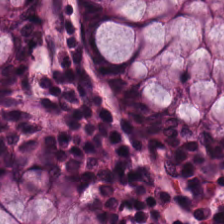Hematoxylin and eosin.
Q: Identify the tissue.
A: This is non-neoplastic colon mucosa.
